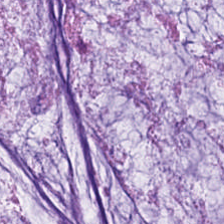Hematoxylin-and-eosin stained section · 0.5 µm/px.
Q: Identify the tissue.
A: This is mucus.
